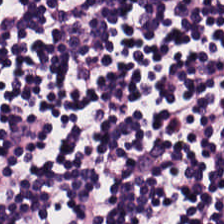Q: What is shown here?
A: It is lymphocyte aggregate.
